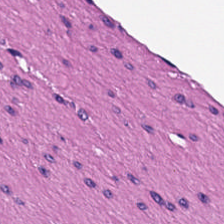Stain: H&E-stained tissue section.
Preparation: FFPE.
Classification: muscularis.
